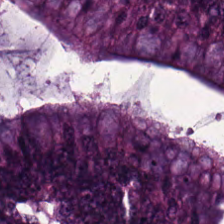0.5 µm/px. Hematoxylin and eosin.
Classification: tumor epithelium.
